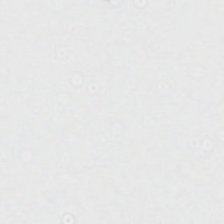H&E; whole-slide-image patch; 0.5 µm/px. Content — empty background.
